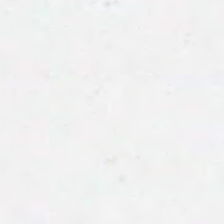Empty background.
